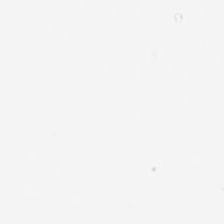H&E. 224×224 pixel tile — Content — background (no tissue).
